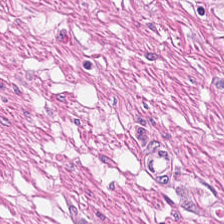Stain: H&E stain.
Preparation: FFPE tissue section.
Tissue class: smooth muscle.
